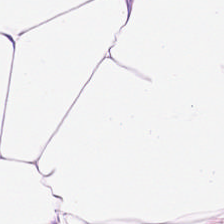H&E — The predominant tissue is adipocytes.
